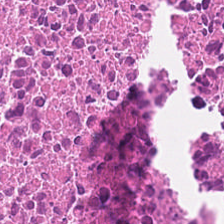Brightfield microscopy. Hematoxylin-and-eosin stained section — This field is necrotic debris.
